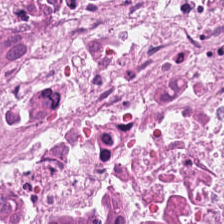Formalin-fixed paraffin-embedded section · H&E stain. {"tissue_type": "cellular debris"}
